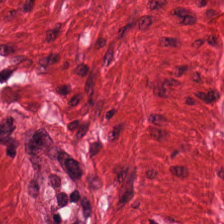Hematoxylin-and-eosin section: smooth-muscle tissue.
